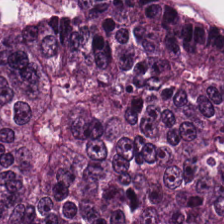Hematoxylin and eosin.
Tissue class: adenocarcinoma.
